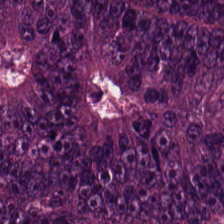Impression — adenocarcinoma.
